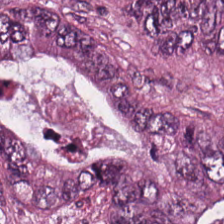224×224 pixel tile · H&E-stained tissue section. This patch shows colorectal adenocarcinoma.
